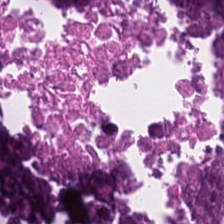H&E-stained tissue section — The tissue class is necrotic debris.
